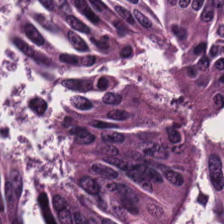224×224 px tile · H&E stain · formalin-fixed paraffin-embedded section — This field is tumor epithelium.
